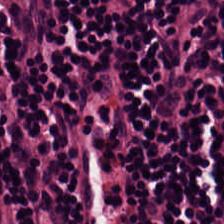H&E. Predominantly lymphocytic infiltrate.
